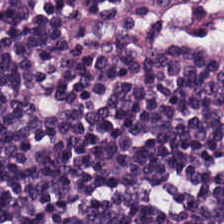FFPE; hematoxylin and eosin — Impression → lymphocytic infiltrate.
